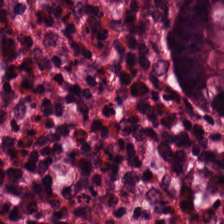Hematoxylin and eosin — Q: What tissue type is shown here?
A: This is normal colonic mucosa.
